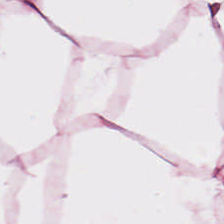0.5 µm/px · H&E.
Impression — adipocytes.
